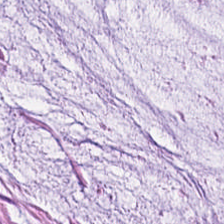H&E — Tissue type = extracellular mucin.
